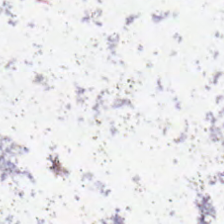Stain: hematoxylin and eosin.
Field content: empty background.
